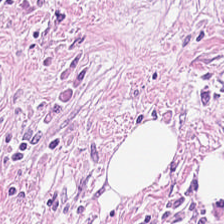FFPE tissue section. H&E-stained tissue section. 224×224 px patch. Q: What tissue is shown?
A: It is cancer-associated stroma.
